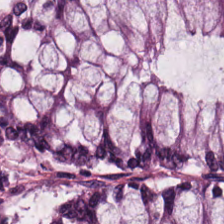224×224 px patch; hematoxylin and eosin.
This patch shows non-neoplastic colon mucosa.
